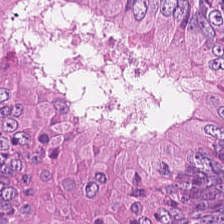Hematoxylin-and-eosin stained section — Malignant epithelium.
